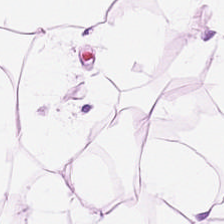Whole-slide-image patch. Hematoxylin-and-eosin stained section.
Impression — adipose.
